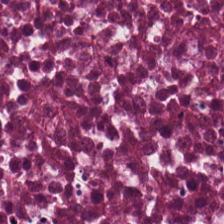20× equivalent magnification. Whole-slide-image patch. H&E.
The predominant tissue is necrotic debris.
